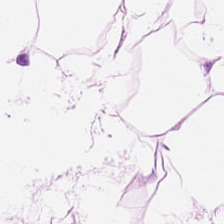Stain: H&E.
Acquisition: brightfield.
Tissue type: fat tissue.
